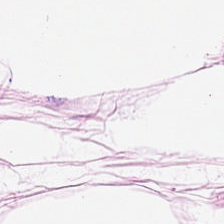FFPE; H&E stain. Tissue class: fat tissue.
